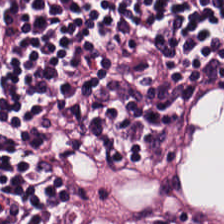Hematoxylin-and-eosin stained section.
Classification: lymphocyte aggregate.
